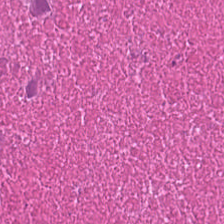H&E — Classification — necrotic debris.
